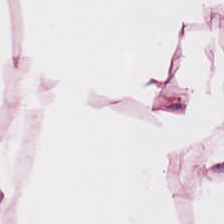224×224 px tile · H&E-stained tissue section. Q: Identify the tissue.
A: Adipocytes.
